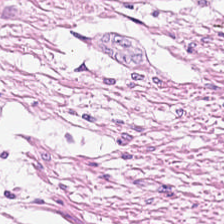H&E-stained tissue section. Smooth-muscle tissue.
